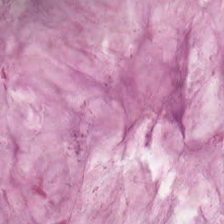Hematoxylin-and-eosin stained section.
Predominantly mucin.
